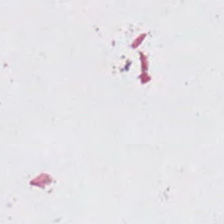224×224 pixel tile; 0.5 µm per pixel; hematoxylin and eosin.
This field is background (no tissue).
